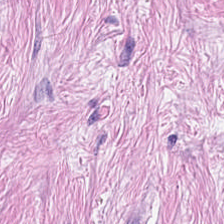H&E — Showing tumor stroma.
